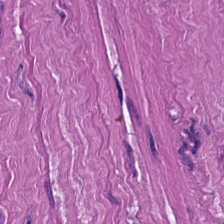H&E stain · FFPE tissue section · 224×224 px patch.
This field is smooth muscle.
